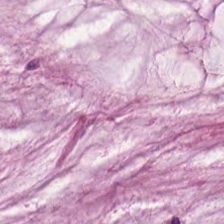Q: What does this patch show?
A: This is mucus.
